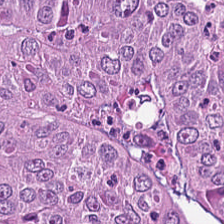Stain: H&E-stained tissue section.
Tissue type: colorectal adenocarcinoma epithelium.
